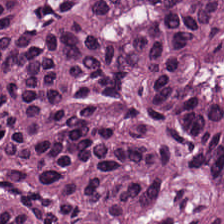H&E stain. Predominantly colorectal adenocarcinoma epithelium.
